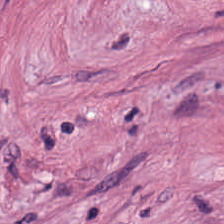Finding — tumor-associated stroma.
